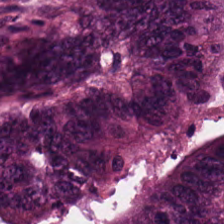H&E stain · whole-slide-image patch — The predominant tissue is colorectal adenocarcinoma.
